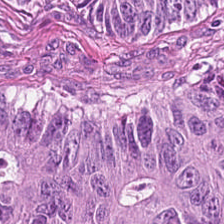Hematoxylin and eosin.
Impression — adenocarcinoma.
